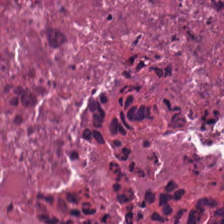The tissue here is debris.
